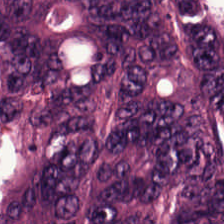H&E patch showing colorectal adenocarcinoma.
